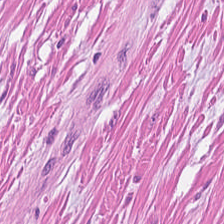H&E-stained tissue section · 20× equivalent magnification · FFPE. Impression → smooth-muscle tissue.
